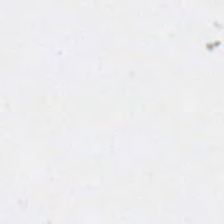H&E; 224×224 px tile; formalin-fixed paraffin-embedded section — Q: Classify this patch.
A: Background.
